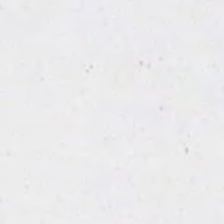Q: What does this patch show?
A: Background.
